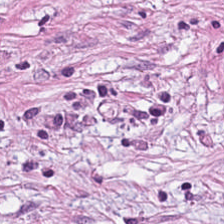H&E-stained tissue section. Classification = tumor-associated stroma.
